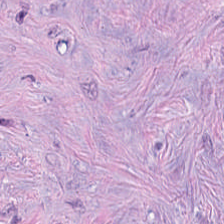Hematoxylin and eosin — This patch shows tumor-associated stroma.
